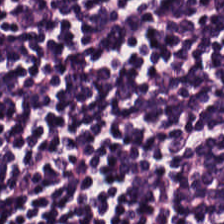Q: What is shown in this field?
A: The field shows lymphoid infiltrate.
